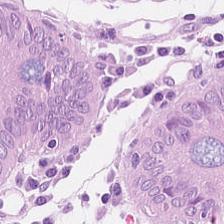Q: What tissue type is shown here?
A: This is non-neoplastic colon mucosa.
